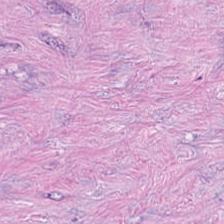FFPE tissue section. H&E. 224×224 px patch — Q: What type of tissue is this?
A: This is desmoplastic stroma.
